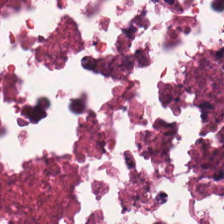Tissue class: necrotic debris.
